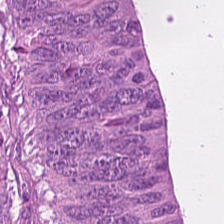H&E-stained tissue section showing colorectal adenocarcinoma epithelium.
